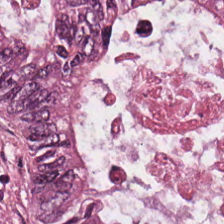H&E-stained tissue section.
Q: What type of tissue is this?
A: The field shows adenocarcinoma.
